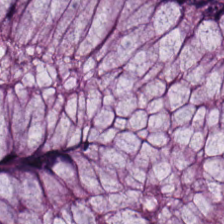Q: What is shown here?
A: The field shows non-neoplastic colon mucosa.
